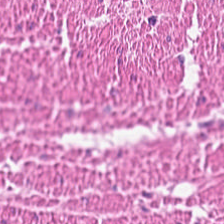H&E stain. Histology → smooth muscle.
